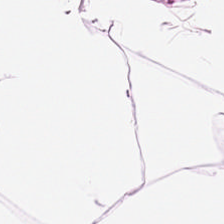224×224 px patch; hematoxylin-and-eosin stained section — {"tissue_type": "fat tissue"}
